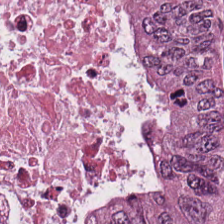H&E-stained tissue section. Predominantly tumor epithelium.
